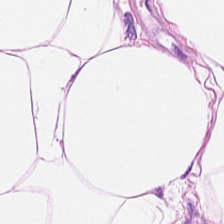H&E — Q: What tissue is shown?
A: This is fat tissue.
